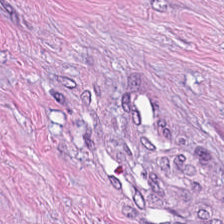Impression — tumor-associated stroma.
